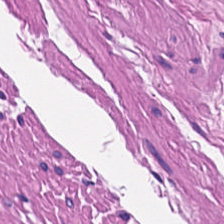Stain: H&E-stained tissue section.
Tile size: 224×224 px patch.
Tissue class: smooth-muscle tissue.
